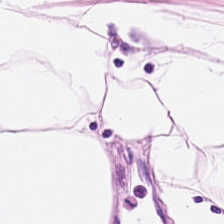H&E-stained tissue section.
Finding → adipose tissue.
